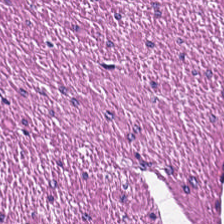{"tissue_type": "smooth muscle"}
